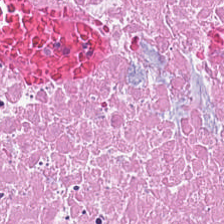Q: What is shown here?
A: The field shows necrotic debris.
